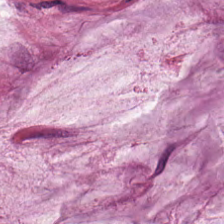20× equivalent magnification. Hematoxylin-and-eosin stained section — Mucus.
